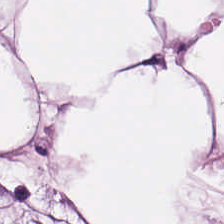Stain: hematoxylin-and-eosin stained section.
Predominant tissue: adipocytes.
